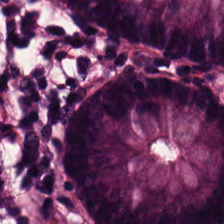Formalin-fixed paraffin-embedded section; hematoxylin and eosin.
The tissue type is non-neoplastic colon mucosa.
